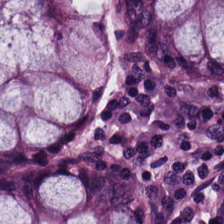H&E — Q: What is the predominant tissue type?
A: This is normal colon mucosa.
